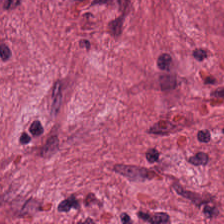Q: What tissue type is shown here?
A: Desmoplastic stroma.
